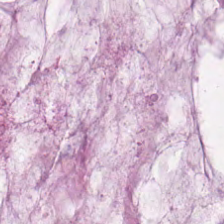Tissue type — mucin.
